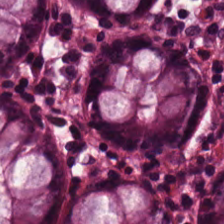224×224 pixel tile; whole-slide-image patch; hematoxylin and eosin — Normal colonic mucosa.
